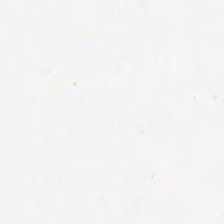H&E stain. Impression → background (no tissue).
